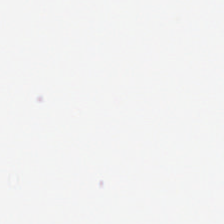FFPE; H&E-stained tissue section.
Empty field — background.
